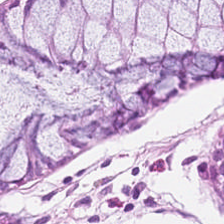The predominant tissue is non-neoplastic colon mucosa.
